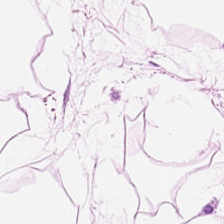Hematoxylin-and-eosin stained section. 224×224 px patch — This patch shows adipose.
